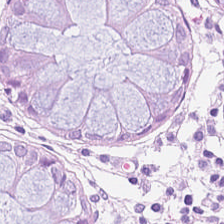Tissue class = normal colonic mucosa.
